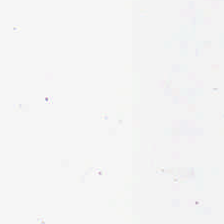Stain: H&E-stained tissue section.
Content: background (no tissue).
